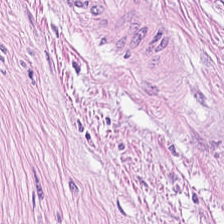Hematoxylin and eosin. Q: What does this patch show?
A: The field shows desmoplastic stroma.
